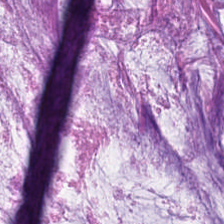H&E-stained tissue section · 224×224 px patch · FFPE.
Predominant tissue — extracellular mucin.
